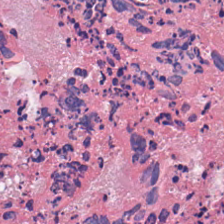The predominant tissue is debris.
